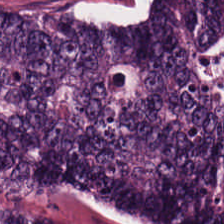0.5 microns per pixel. 224×224 px patch. H&E. Q: What does this patch show?
A: It is colorectal adenocarcinoma epithelium.
